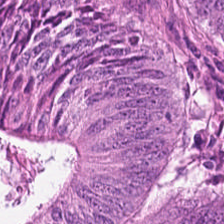Showing malignant epithelium.
